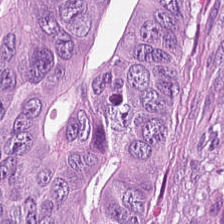H&E-stained tissue section — Histology — adenocarcinoma.
